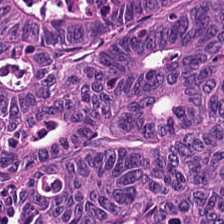H&E-stained tissue section showing malignant epithelium.
